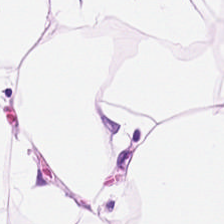Hematoxylin and eosin. 224×224 px tile. Tissue type — fat tissue.
